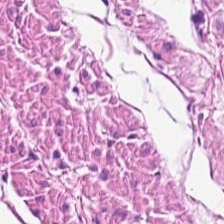H&E · FFPE.
Predominantly muscularis.
